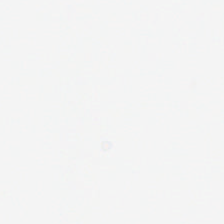Hematoxylin-and-eosin stained section. Field content: empty background.
